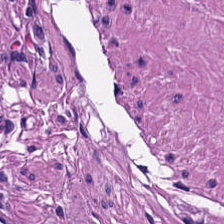H&E-stained tissue section · FFPE. This field is smooth muscle.
